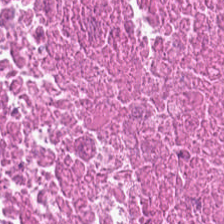Predominant tissue = necrotic debris.
